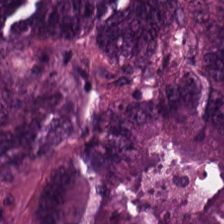Hematoxylin-and-eosin stained section. Tissue = colorectal adenocarcinoma epithelium.
